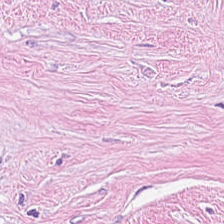Hematoxylin-and-eosin stained section. WSI patch. 0.5 µm/px.
This patch shows cancer-associated stroma.
